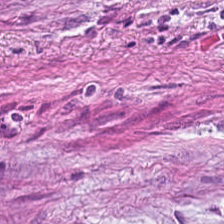FFPE tissue section. Hematoxylin and eosin.
The tissue class is tumor stroma.
